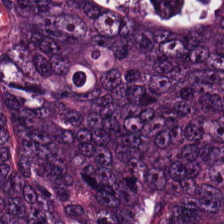FFPE · 224×224 pixel tile · hematoxylin and eosin. Q: What is shown here?
A: Colorectal adenocarcinoma epithelium.
